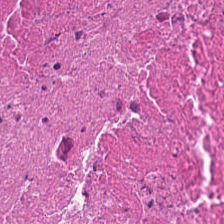Hematoxylin and eosin — The predominant tissue is cellular debris.
